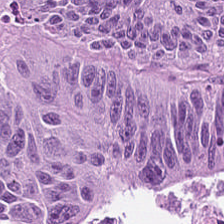H&E stain; 224×224 px tile — Predominant tissue — adenocarcinoma.
